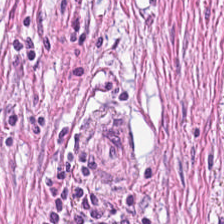H&E stain — Q: What type of tissue is this?
A: The field shows tumor stroma.
